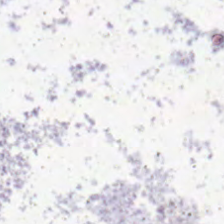H&E. Classification: background.
